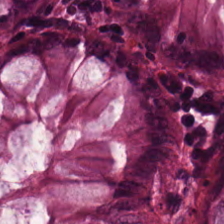Q: Classify this patch.
A: This is normal colonic mucosa.
